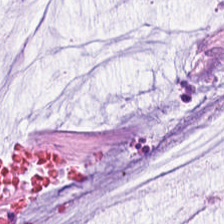Hematoxylin-and-eosin stained section · 0.5 µm/px · FFPE tissue section.
Q: Classify this patch.
A: The field shows mucin.
